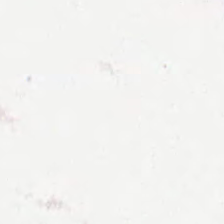Empty field — background.
